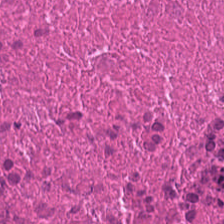H&E-stained tissue section; 20× equivalent magnification; 224×224 px patch. Showing cellular debris.
